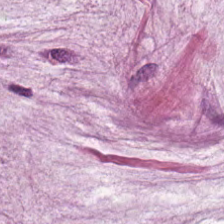Histology — extracellular mucin.
